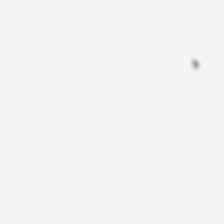Formalin-fixed paraffin-embedded section. Hematoxylin and eosin. The content is background.
